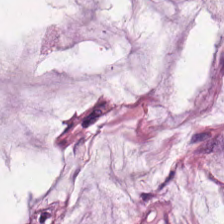Formalin-fixed paraffin-embedded section · hematoxylin and eosin · brightfield.
The tissue here is extracellular mucin.
